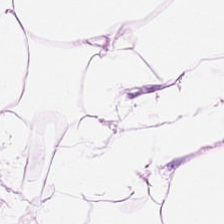Tissue: adipose.
